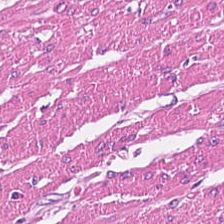0.5 µm per pixel; hematoxylin-and-eosin stained section; 224×224 px patch — The tissue here is muscularis.
